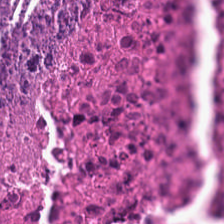H&E-stained tissue section — The tissue here is cellular debris.
